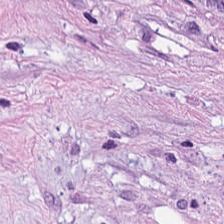224×224 pixel tile · H&E · whole-slide-image patch.
The tissue type is tumor stroma.
